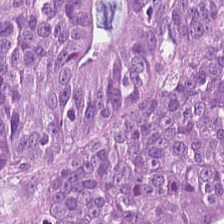H&E — The predominant tissue is tumor epithelium.
